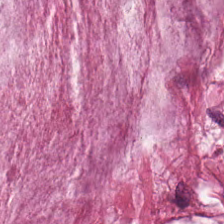This field is mucus.
